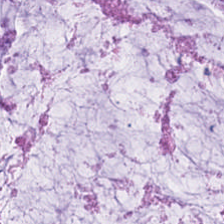Stain: hematoxylin and eosin.
Predominant tissue: mucus.
